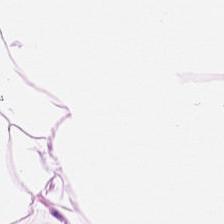Stain: hematoxylin and eosin.
Preparation: FFPE.
Tissue: adipocytes.
